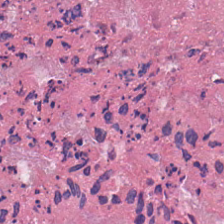Hematoxylin and eosin; brightfield.
Tissue type = necrotic debris.
